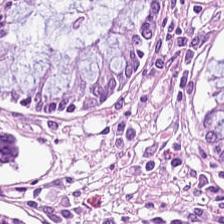Stain: H&E-stained tissue section.
Tissue: normal colonic mucosa.
